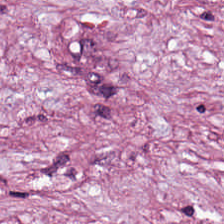224×224 pixel tile; hematoxylin and eosin; brightfield microscopy. Q: What type of tissue is this?
A: It is tumor-associated stroma.
